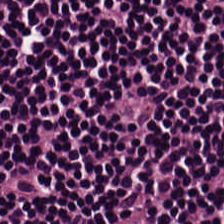Tissue class — lymphocytes.
